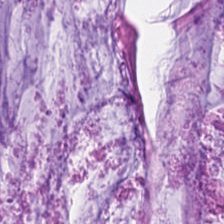Hematoxylin-and-eosin stained section. FFPE tissue section.
Q: What type of tissue is this?
A: Mucin.
